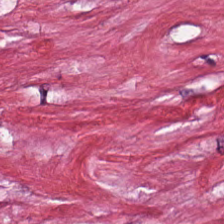Hematoxylin-and-eosin stained section.
Tissue type — tumor-associated stroma.
